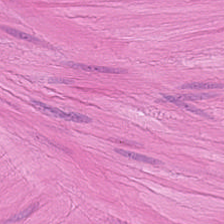0.5 microns per pixel · WSI patch · hematoxylin-and-eosin stained section. Predominantly smooth-muscle tissue.
